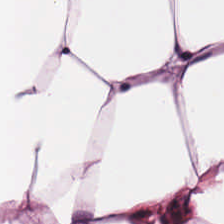H&E-stained tissue section. Classification: adipose.
